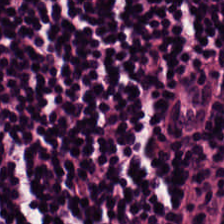Q: Classify this patch.
A: This is lymphocytes.
